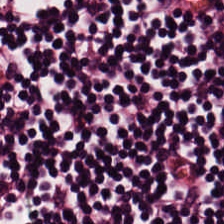Hematoxylin-and-eosin section: lymphocyte aggregate.
